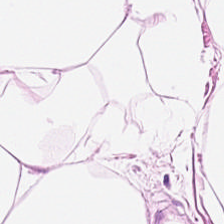{"tissue_type": "adipose"}
